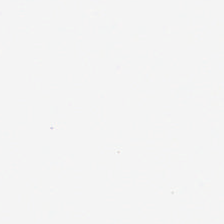Stain: H&E.
Acquisition: brightfield microscopy.
Preparation: formalin-fixed paraffin-embedded section.
Classification: background.
